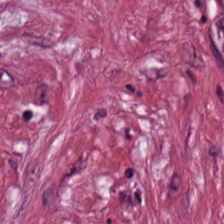H&E-stained tissue section; 0.5 microns per pixel — Tissue class — tumor stroma.
